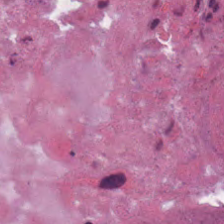Brightfield · hematoxylin-and-eosin stained section · 0.5 µm/px. Necrotic debris.
